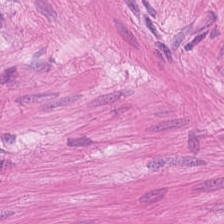H&E stain. 0.5 µm per pixel. The predominant tissue is muscularis.
